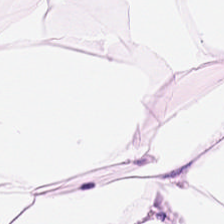Hematoxylin-and-eosin section: adipose tissue.
